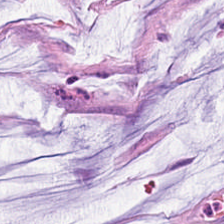Stain: H&E.
Tissue: mucin.
